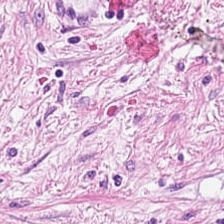224×224 px patch. Brightfield. H&E-stained tissue section — Histology — desmoplastic stroma.
